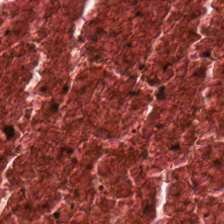WSI patch. H&E-stained tissue section.
Q: What tissue type is shown here?
A: Cellular debris.
